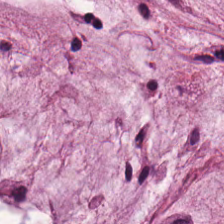Hematoxylin-and-eosin stained section · 224×224 pixel tile. The tissue here is mucus.
